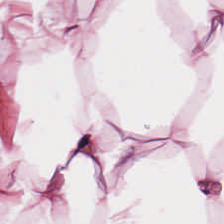H&E-stained tissue section. Q: What type of tissue is this?
A: It is adipose tissue.
